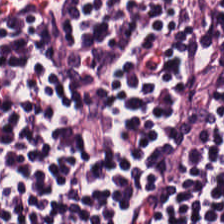H&E-stained tissue section. Tissue — lymphoid infiltrate.
